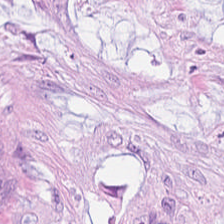H&E stain — Tissue class: adenocarcinoma.
